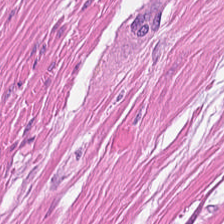H&E-stained tissue section; 224×224 px patch.
This field is muscularis.
